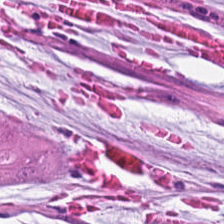Hematoxylin and eosin. Tissue class = mucus.
